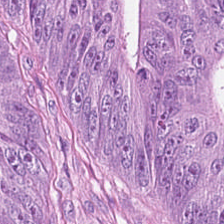H&E stain — The predominant tissue is adenocarcinoma.
